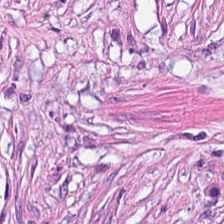224×224 px patch. H&E.
Q: What is the predominant tissue type?
A: Tumor stroma.
